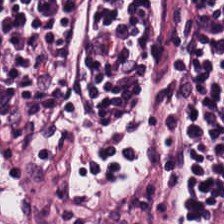0.5 µm/px; 224×224 pixel tile; hematoxylin-and-eosin stained section — Q: Classify this patch.
A: Lymphocytes.
